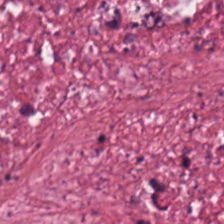H&E. Histology → tumor-associated stroma.
